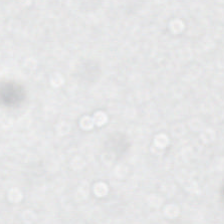Brightfield microscopy; H&E-stained tissue section; 20× equivalent magnification.
Classification: no tissue.
